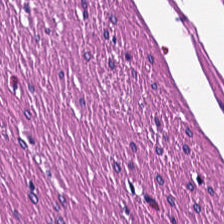0.5 microns per pixel; formalin-fixed paraffin-embedded section; hematoxylin and eosin — Tissue type = smooth-muscle tissue.
